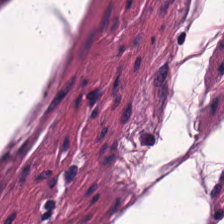This field is smooth muscle.
